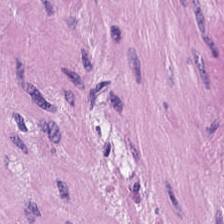Impression — smooth-muscle tissue.
